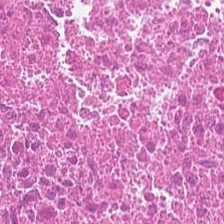Hematoxylin and eosin.
Finding → cellular debris.
